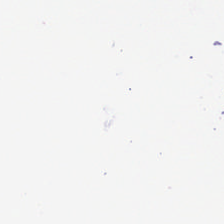224×224 px patch. H&E. {"content": "background (no tissue)"}
